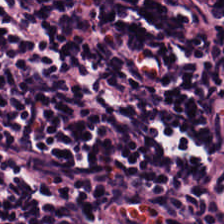H&E. The tissue here is lymphocytic infiltrate.
